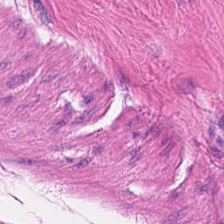Q: What is shown in this field?
A: It is smooth-muscle tissue.
